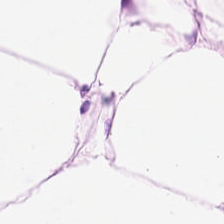FFPE. H&E-stained tissue section. 224×224 px patch — Finding — adipose.
